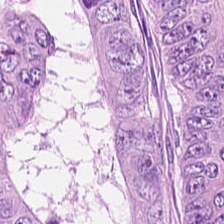The predominant tissue is tumor epithelium.
